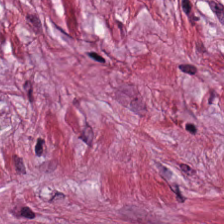224×224 px tile; H&E stain; 0.5 µm per pixel.
Finding — desmoplastic stroma.
